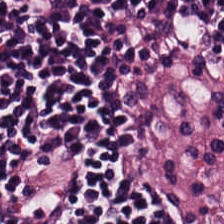H&E patch showing lymphocytic infiltrate.
